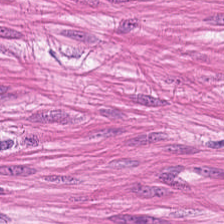H&E — Predominantly smooth-muscle tissue.
